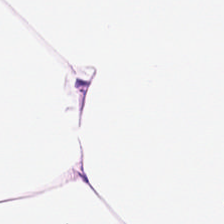H&E-stained tissue section. 0.5 µm/px. 224×224 px tile — Tissue class = fat tissue.
